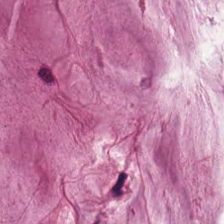Showing mucus.
